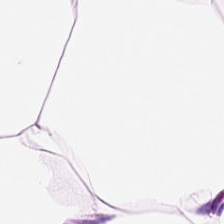Hematoxylin and eosin. This patch shows adipose.
